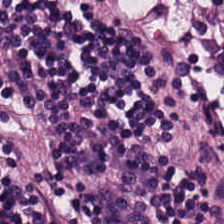H&E stain — The tissue here is lymphoid infiltrate.
